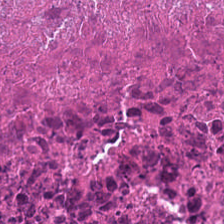Hematoxylin-and-eosin stained section. Showing debris.
